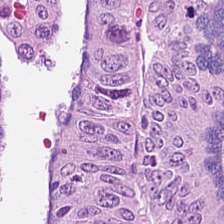Formalin-fixed paraffin-embedded section; hematoxylin and eosin; 0.5 µm per pixel. Predominant tissue: colorectal adenocarcinoma.
